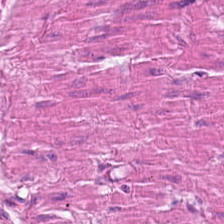Hematoxylin and eosin. Q: What tissue type is shown here?
A: The field shows muscularis.
